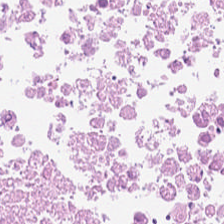H&E · 20× equivalent magnification.
This patch shows necrotic debris.
